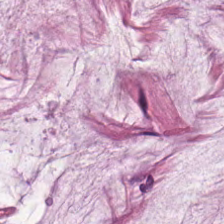0.5 microns per pixel. Hematoxylin and eosin. This patch shows mucus.
